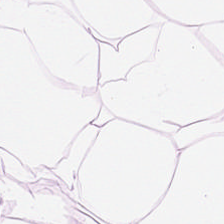Stain: hematoxylin-and-eosin stained section.
Resolution: 0.5 µm/px.
Tile size: 224×224 pixel tile.
Tissue: adipose tissue.
